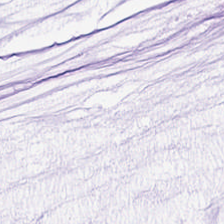224×224 pixel tile · H&E stain · 0.5 µm per pixel.
Impression → extracellular mucin.
